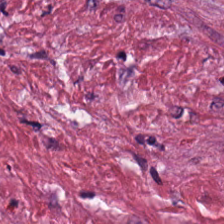H&E; formalin-fixed paraffin-embedded section. Showing desmoplastic stroma.
